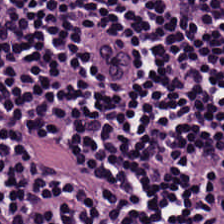224×224 px patch · hematoxylin-and-eosin stained section. Lymphocytic infiltrate.
